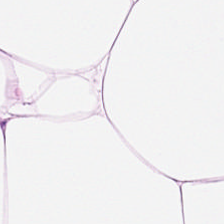FFPE tissue section; 0.5 µm/px; hematoxylin-and-eosin stained section.
{"tissue_type": "adipose"}
